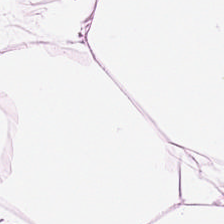Histology → adipocytes.
